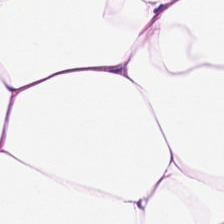H&E — This patch shows adipose tissue.
